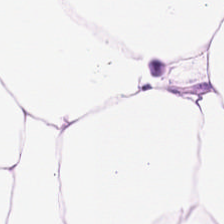Brightfield microscopy. H&E-stained tissue section. 224×224 px tile.
Predominant tissue — adipocytes.
